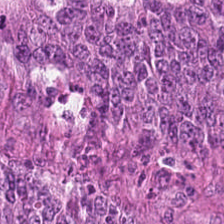Tissue — tumor epithelium.
